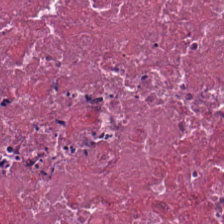224×224 pixel tile · H&E stain. Predominantly debris.
